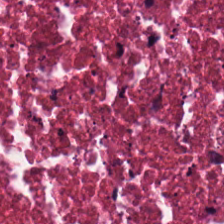Q: Identify the tissue.
A: Debris.
